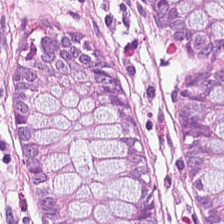H&E-stained tissue section. Tissue class — normal colon mucosa.
